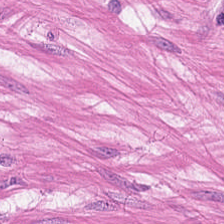Hematoxylin and eosin — Predominantly smooth muscle.
